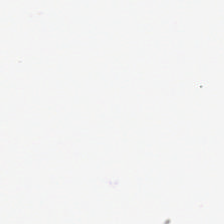Hematoxylin-and-eosin stained section — No tissue present; background only.
